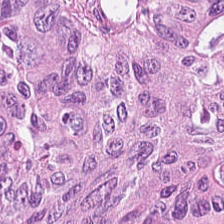H&E stain. FFPE. 224×224 px tile. Q: What tissue type is shown here?
A: The field shows colorectal adenocarcinoma epithelium.
